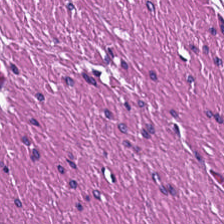Stain: H&E-stained tissue section.
Tile size: 224×224 px patch.
Preparation: formalin-fixed paraffin-embedded section.
Tissue: smooth-muscle tissue.
